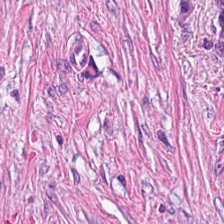FFPE · H&E stain · 224×224 px patch.
Q: Classify this patch.
A: The field shows tumor-associated stroma.
